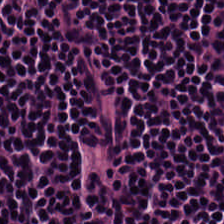H&E — Tissue — lymphoid infiltrate.
